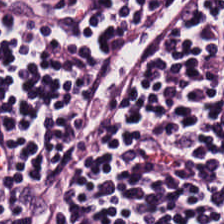H&E-stained tissue section. Impression — lymphocytes.
